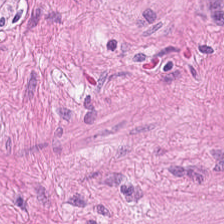H&E. Q: What type of tissue is this?
A: Muscularis.
